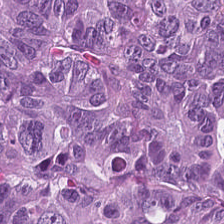0.5 µm/px; H&E-stained tissue section. Tissue = malignant epithelium.
